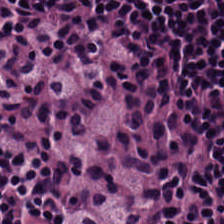Impression → lymphocytes.
